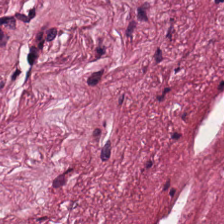Hematoxylin and eosin — The predominant tissue is cancer-associated stroma.
